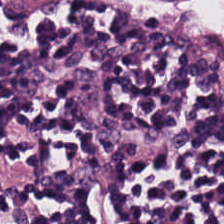H&E stain — Classification — lymphoid infiltrate.
